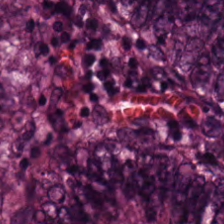Q: Classify this patch.
A: This is malignant epithelium.
